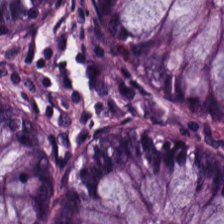H&E-stained tissue section. Showing normal colon mucosa.
